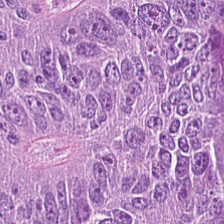H&E stain.
This field is adenocarcinoma.
